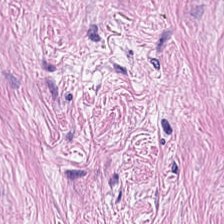H&E stain.
{"tissue_type": "desmoplastic stroma"}
